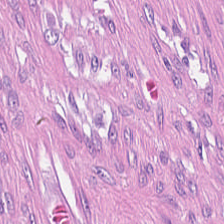Q: What does this patch show?
A: Tumor stroma.
